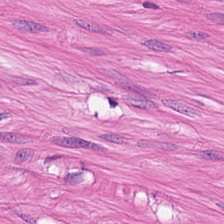H&E stain. Whole-slide-image patch. 224×224 pixel tile — This patch shows smooth-muscle tissue.
